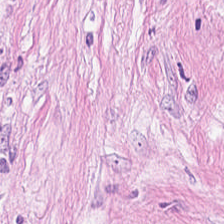H&E-stained tissue section.
Tissue class: tumor stroma.
